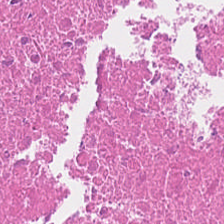Stain: H&E-stained tissue section.
Resolution: 0.5 microns per pixel.
Tile size: 224×224 px patch.
Classification: cellular debris.
